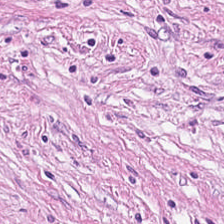Hematoxylin-and-eosin stained section — Predominant tissue: tumor-associated stroma.
